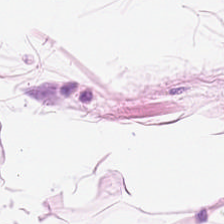224×224 pixel tile; H&E stain.
Classification: fat tissue.
